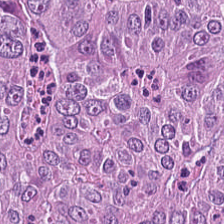Q: Classify this patch.
A: This is tumor epithelium.
